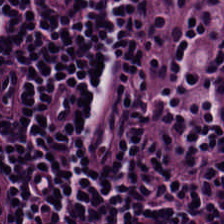Hematoxylin and eosin.
Q: What is shown here?
A: This is lymphocytic infiltrate.
